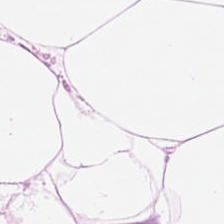H&E stain. 224×224 px patch. FFPE.
Q: What is shown in this field?
A: The field shows adipose tissue.
